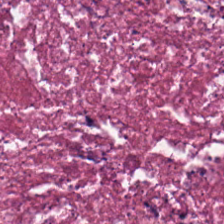H&E stain. Tissue: cellular debris.
